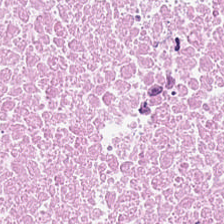Hematoxylin-and-eosin stained section. {"tissue_type": "cellular debris"}
